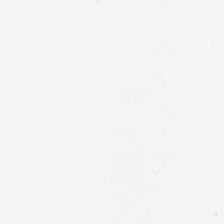H&E-stained tissue section. FFPE tissue section — Classification: no tissue.
